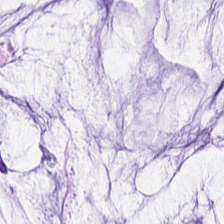Hematoxylin-and-eosin stained section.
The predominant tissue is mucus.
